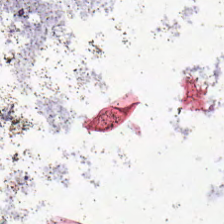Background — no tissue in this field.
